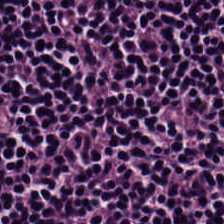Brightfield; hematoxylin and eosin; 224×224 px patch. This field is lymphocytes.
